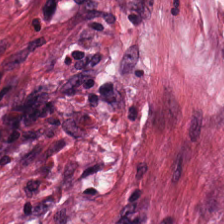H&E patch showing desmoplastic stroma.
